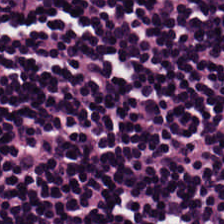Tissue type = lymphocytes.
